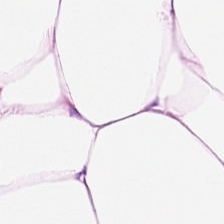Formalin-fixed paraffin-embedded section. H&E.
Tissue — adipocytes.
